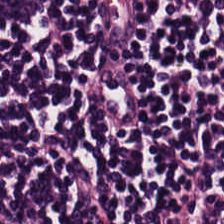Hematoxylin-and-eosin stained section · FFPE tissue section. {"tissue_type": "lymphoid infiltrate"}
